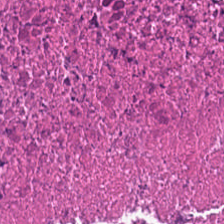Finding — debris.
